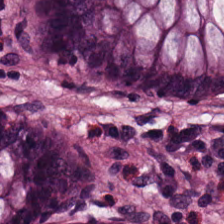Classification = normal colon mucosa.
